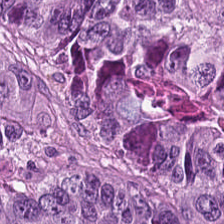Hematoxylin and eosin — Classification: tumor epithelium.
